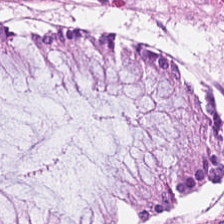Hematoxylin and eosin — Q: Classify this patch.
A: This is benign colonic mucosa.
